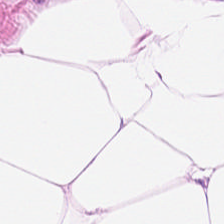The tissue class is adipose tissue.
